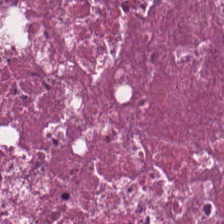H&E-stained tissue section; 224×224 px tile.
Predominant tissue: necrotic debris.
